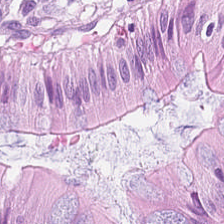Stain: H&E.
Resolution: 20× equivalent magnification.
Acquisition: whole-slide-image patch.
Tissue type: benign colonic mucosa.
